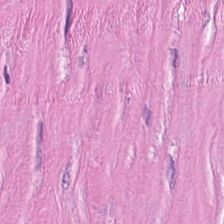Stain: H&E stain.
Preparation: FFPE.
Tissue class: cancer-associated stroma.
